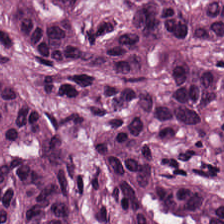Hematoxylin and eosin · 224×224 px patch — Predominantly tumor epithelium.
